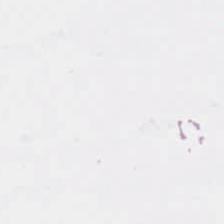Hematoxylin and eosin — Q: What is shown in this field?
A: No tissue.
